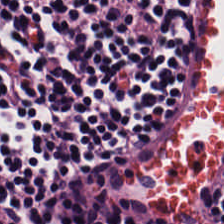H&E stain. 0.5 µm per pixel — The tissue here is lymphocytes.
